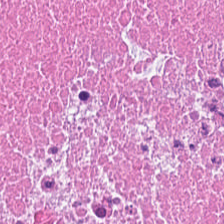Stain: hematoxylin and eosin.
Tissue type: necrotic debris.
